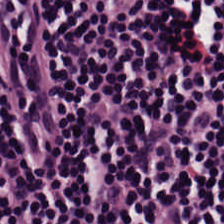Stain: hematoxylin and eosin.
Preparation: formalin-fixed paraffin-embedded section.
Tissue type: lymphocytic infiltrate.
